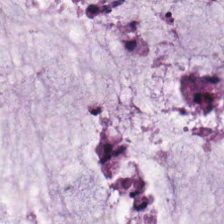H&E-stained tissue section · 224×224 px patch.
{"tissue_type": "mucus"}
